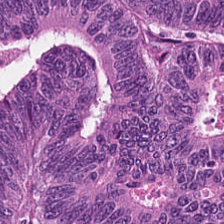0.5 µm/px · H&E-stained tissue section. Tumor epithelium.
